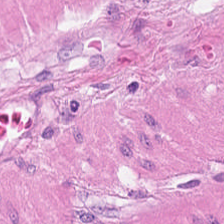Hematoxylin-and-eosin stained section.
Classification — smooth muscle.
